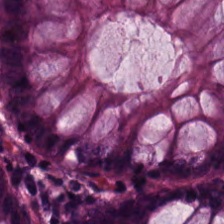Stain: hematoxylin and eosin.
Resolution: 0.5 µm per pixel.
Tissue class: normal colonic mucosa.
